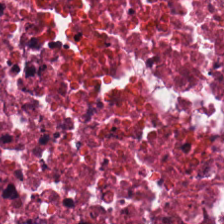H&E-stained tissue section · 224×224 px tile — Tissue: cellular debris.
